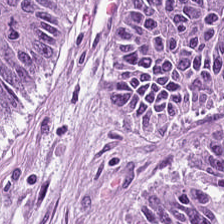H&E. Tissue class: tumor epithelium.
